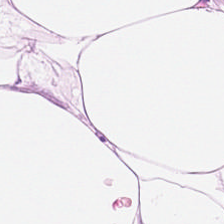H&E stain — The predominant tissue is adipocytes.
